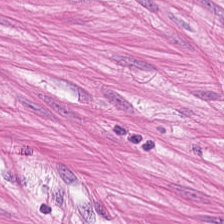Stain: hematoxylin-and-eosin stained section.
Predominant tissue: muscularis.
